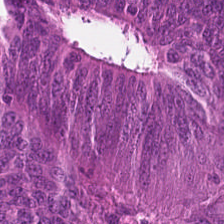Hematoxylin-and-eosin stained section. Q: What is the predominant tissue type?
A: It is tumor epithelium.
